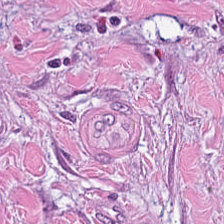H&E stain.
Showing tumor-associated stroma.
